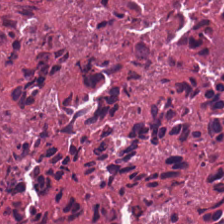Classification = necrotic debris.
